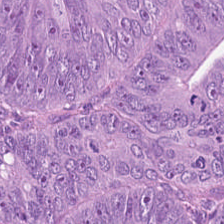Formalin-fixed paraffin-embedded section. H&E stain. Finding → colorectal adenocarcinoma epithelium.
